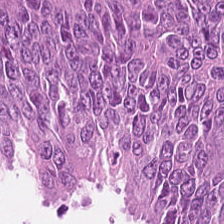The tissue here is malignant epithelium.
